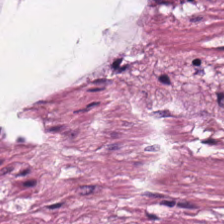H&E stain. Tissue class = mucin.
